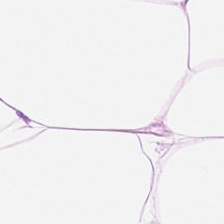H&E-stained tissue section. Q: What is shown in this field?
A: Adipose tissue.
